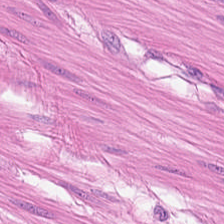The predominant tissue is smooth muscle.
